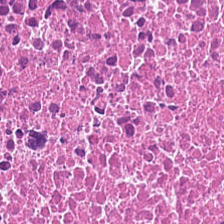Hematoxylin and eosin; FFPE.
Tissue class — debris.
